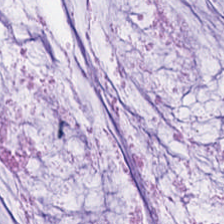H&E-stained tissue section — Q: What is the predominant tissue type?
A: The field shows mucin.
